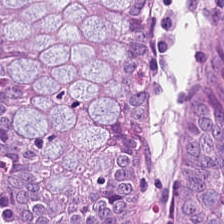The tissue here is benign colonic mucosa.
